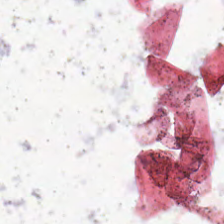Field content — no tissue.
